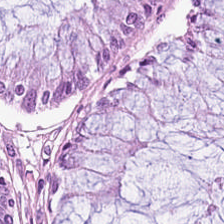Classification: normal colon mucosa.
